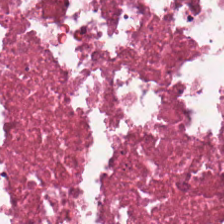H&E-stained tissue section · FFPE · brightfield.
Finding — necrotic debris.
